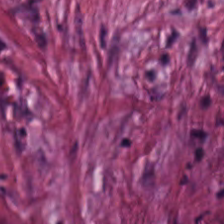Showing tumor-associated stroma.
